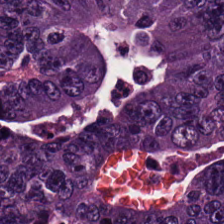0.5 µm/px. Hematoxylin-and-eosin stained section. Q: What is shown in this field?
A: It is colorectal adenocarcinoma.
